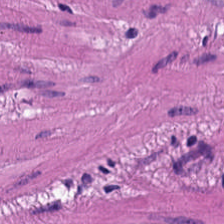H&E stain.
Muscularis.
